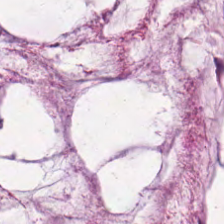Tissue — mucus.
